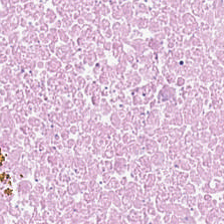H&E — cellular debris.
